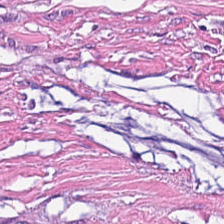Hematoxylin-and-eosin stained section · brightfield microscopy. The predominant tissue is tumor-associated stroma.
